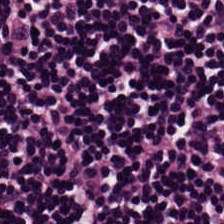H&E-stained tissue section. FFPE.
Q: Identify the tissue.
A: The field shows lymphocytic infiltrate.
